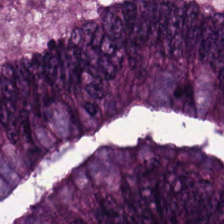Finding — colorectal adenocarcinoma epithelium.
